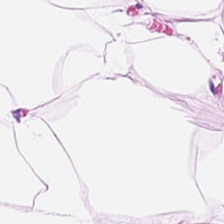Impression → adipose.
